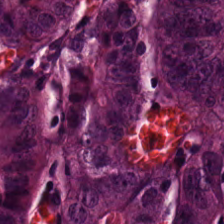H&E stain.
Classification — adenocarcinoma.
